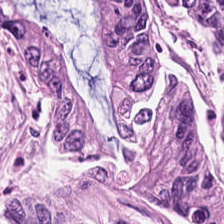Stain: hematoxylin-and-eosin stained section.
Tile size: 224×224 px patch.
Tissue: colorectal adenocarcinoma epithelium.
